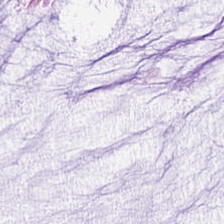Stain: H&E-stained tissue section.
Tissue: mucus.
